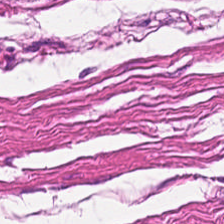Hematoxylin-and-eosin stained section.
The tissue here is smooth muscle.
